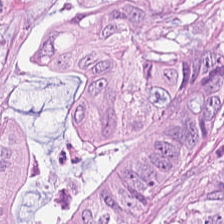Stain: H&E-stained tissue section.
Classification: tumor epithelium.
